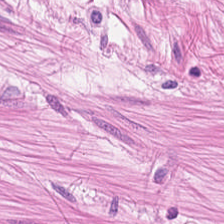Hematoxylin and eosin.
Predominantly smooth muscle.
